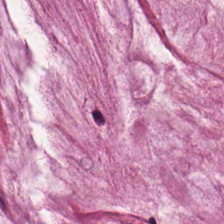Formalin-fixed paraffin-embedded section. H&E. Tissue type = mucus.
